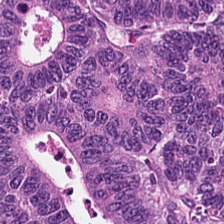224×224 pixel tile · H&E — Q: Classify this patch.
A: This is adenocarcinoma.
